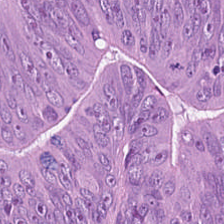224×224 pixel tile · hematoxylin and eosin. Showing colorectal adenocarcinoma epithelium.
